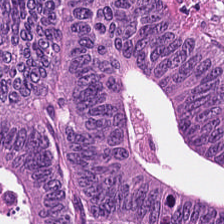Hematoxylin and eosin — Q: What is shown in this field?
A: This is tumor epithelium.
